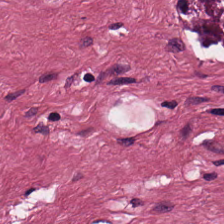H&E. Q: What does this patch show?
A: The field shows tumor stroma.
